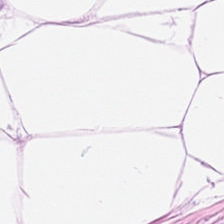H&E stain. 224×224 px patch. Predominantly fat tissue.
